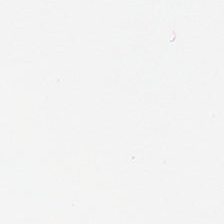This field is background (no tissue).
